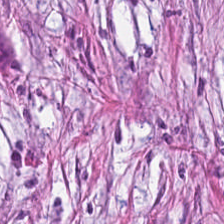Stain: hematoxylin and eosin.
Tissue type: cancer-associated stroma.
